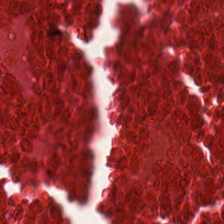H&E stain.
{"tissue_type": "necrotic debris"}
